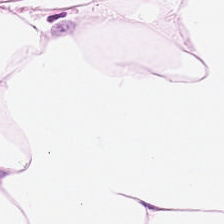H&E — This field is fat tissue.
